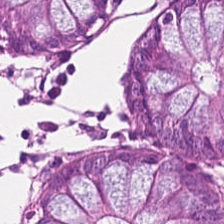Stain: hematoxylin-and-eosin stained section.
Tissue: normal colonic mucosa.
